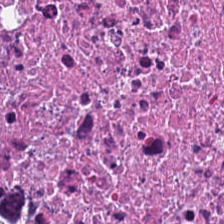Hematoxylin and eosin — The predominant tissue is necrotic debris.
